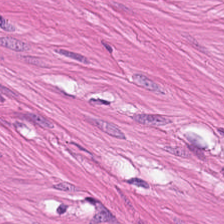H&E-stained tissue section — The tissue here is muscularis.
